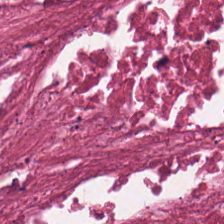FFPE tissue section · H&E · 224×224 px patch. Finding — necrotic debris.
